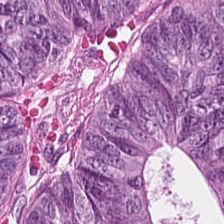H&E — colorectal adenocarcinoma.
